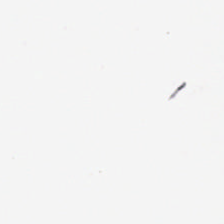H&E stain. Finding → background.
